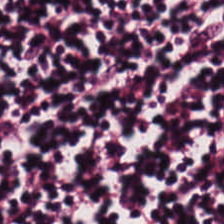Formalin-fixed paraffin-embedded section; H&E-stained tissue section — Tissue: lymphocyte aggregate.
